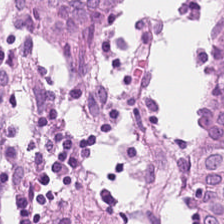H&E patch showing non-neoplastic colon mucosa.
